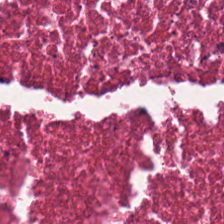H&E-stained tissue section; whole-slide-image patch — Finding → debris.
